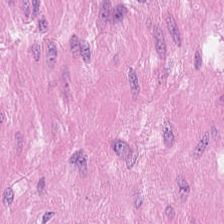224×224 px patch. H&E-stained tissue section.
Smooth-muscle tissue.
